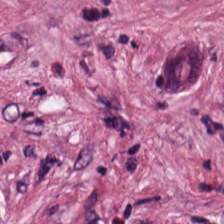Q: What is shown here?
A: This is cancer-associated stroma.
